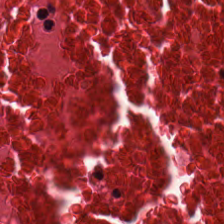This field is debris.
